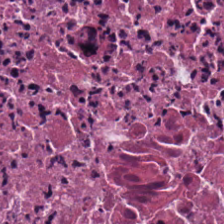Tissue type: cellular debris.
